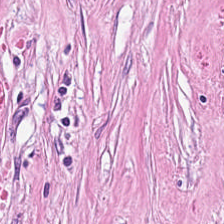0.5 microns per pixel · H&E — Predominantly cancer-associated stroma.
